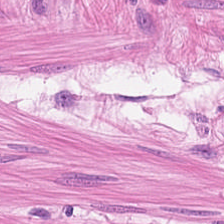Hematoxylin and eosin; 0.5 µm per pixel — Muscularis.
